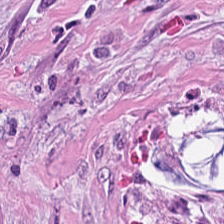FFPE tissue section. H&E-stained tissue section — Predominantly tumor stroma.
